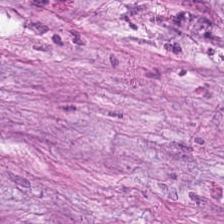H&E stain.
The predominant tissue is tumor-associated stroma.
